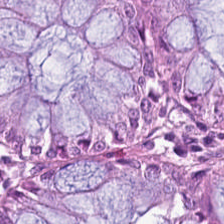Formalin-fixed paraffin-embedded section; hematoxylin-and-eosin stained section.
Tissue class = non-neoplastic colon mucosa.
